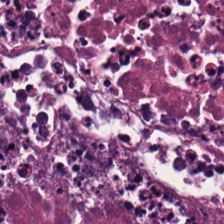224×224 pixel tile · H&E — This field is cellular debris.
